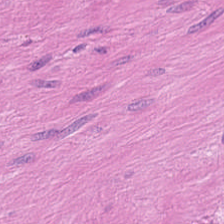The tissue type is muscularis.
